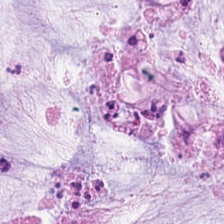Predominantly mucus.
